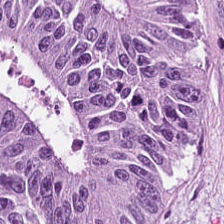H&E.
The tissue type is colorectal adenocarcinoma.
